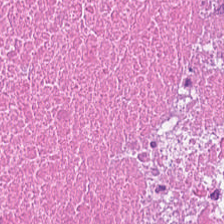H&E stain. 0.5 microns per pixel.
Cellular debris.
